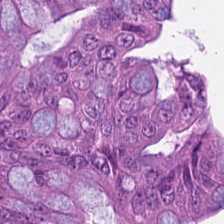H&E-stained tissue section.
Q: What is shown in this field?
A: Adenocarcinoma.
